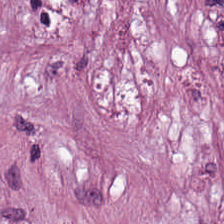H&E-stained tissue section. 0.5 µm/px.
Predominantly cancer-associated stroma.
